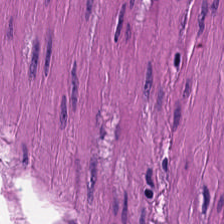Hematoxylin and eosin — Q: What does this patch show?
A: The field shows smooth muscle.
